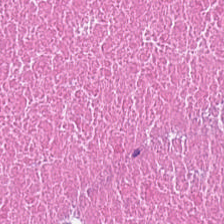Hematoxylin-and-eosin stained section · FFPE tissue section.
Q: What does this patch show?
A: This is debris.
